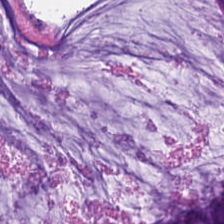Hematoxylin and eosin. Histology → extracellular mucin.
